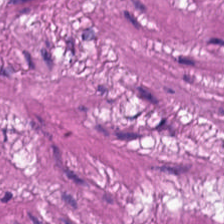H&E — smooth-muscle tissue.
